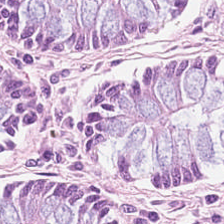The tissue type is normal colonic mucosa.
